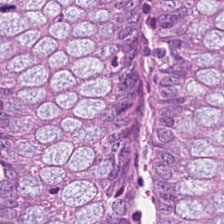0.5 microns per pixel. FFPE tissue section. H&E stain.
Q: What tissue is shown?
A: It is benign colonic mucosa.
